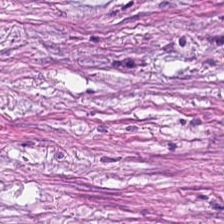Stain: H&E-stained tissue section.
Preparation: formalin-fixed paraffin-embedded section.
Tissue type: desmoplastic stroma.
